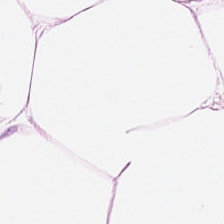{"tissue_type": "fat tissue"}
